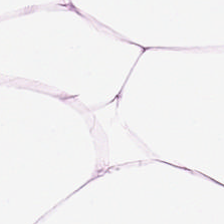H&E-stained tissue section. The tissue here is adipose.
